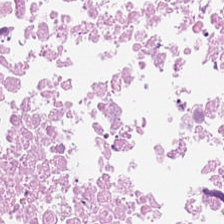H&E-stained tissue section — Classification — cellular debris.
